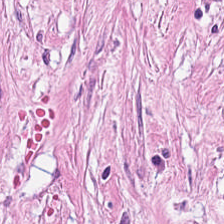Classification = tumor stroma.
